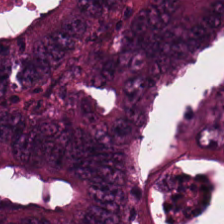Stain: hematoxylin and eosin.
Acquisition: brightfield microscopy.
Tile size: 224×224 px patch.
Tissue type: malignant epithelium.
